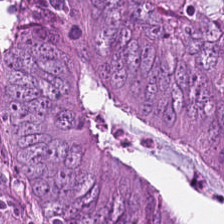Hematoxylin and eosin. Histology — colorectal adenocarcinoma epithelium.
